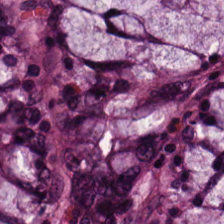0.5 µm per pixel. H&E stain. Formalin-fixed paraffin-embedded section. Normal colon mucosa.
